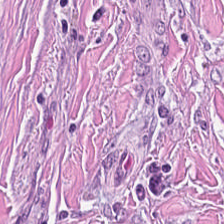H&E — Tissue — cancer-associated stroma.
